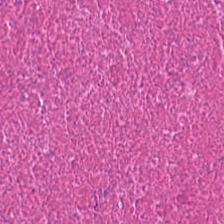Hematoxylin-and-eosin stained section.
Q: What tissue type is shown here?
A: Cellular debris.
